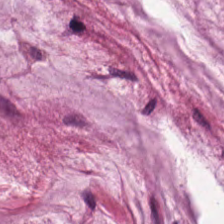Hematoxylin and eosin — Tissue class — extracellular mucin.
